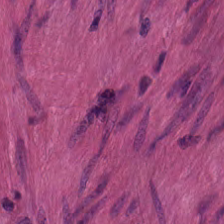This field is smooth muscle.
